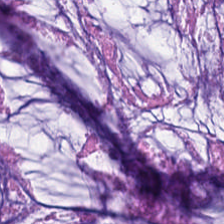H&E-stained tissue section showing mucus.
